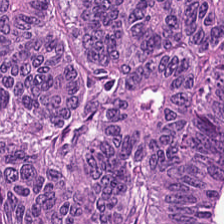The tissue class is malignant epithelium.
